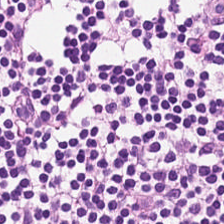H&E. Q: What tissue type is shown here?
A: Lymphocyte aggregate.
